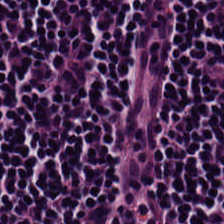H&E stain. Predominant tissue = lymphocyte aggregate.
